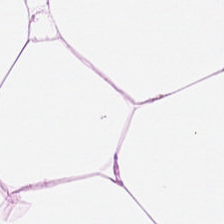The predominant tissue is adipocytes.
